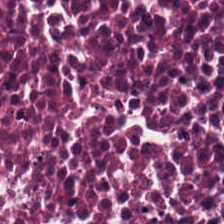Hematoxylin and eosin. Q: What is shown in this field?
A: This is cellular debris.
